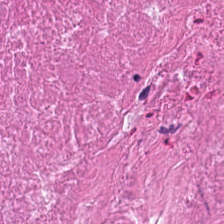Stain: H&E-stained tissue section.
Tissue class: cellular debris.
